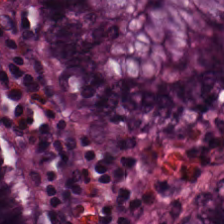0.5 microns per pixel. H&E-stained tissue section — Tissue type — non-neoplastic colon mucosa.
